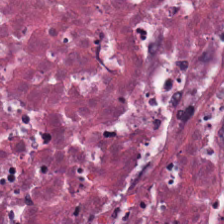WSI patch · 224×224 pixel tile · H&E stain. Q: Identify the tissue.
A: It is debris.
